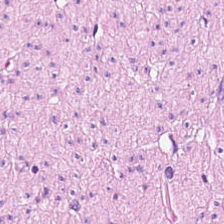H&E.
Predominantly smooth muscle.
